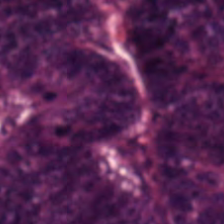Hematoxylin and eosin — {"tissue_type": "tumor epithelium"}
